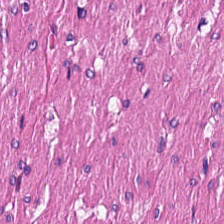WSI patch; formalin-fixed paraffin-embedded section; hematoxylin-and-eosin stained section — Impression — smooth-muscle tissue.
